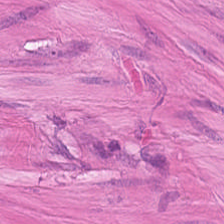H&E stain — Histology → muscularis.
